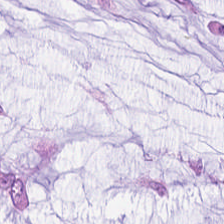Stain: hematoxylin-and-eosin stained section.
Acquisition: WSI patch.
Tile size: 224×224 px patch.
Tissue class: mucin.
